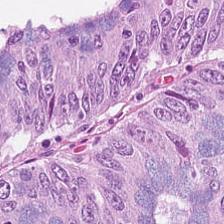Finding → adenocarcinoma.
